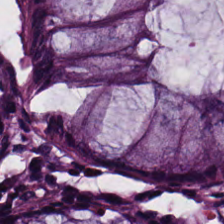Tissue type: benign colonic mucosa.
